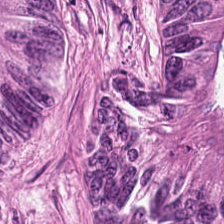H&E-stained tissue section showing colorectal adenocarcinoma.
